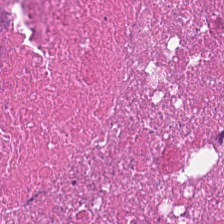H&E-stained tissue section; whole-slide-image patch. Histology → debris.
